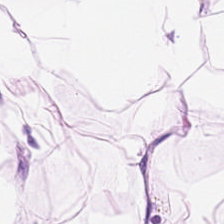Classification — adipose.
